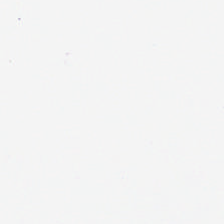H&E stain · FFPE · 224×224 px patch. Empty background.
